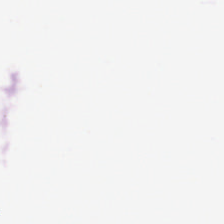H&E-stained tissue section. Impression — empty background.
